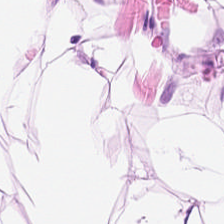WSI patch; H&E — This patch shows adipocytes.
